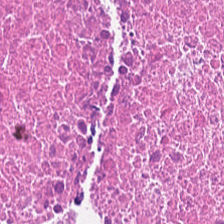The predominant tissue is cellular debris.
